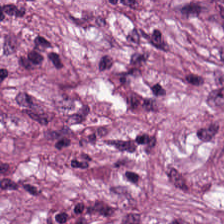H&E stain · 20× equivalent magnification · brightfield — Tissue — desmoplastic stroma.
